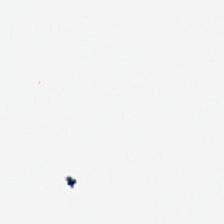No tissue present; background only.
